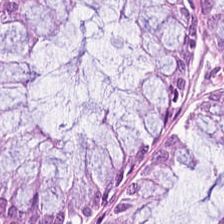Hematoxylin and eosin — Tissue: normal colon mucosa.
